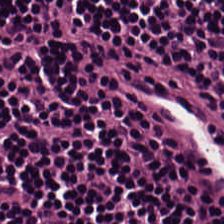Hematoxylin-and-eosin stained section. 224×224 pixel tile — This patch shows lymphocytes.
